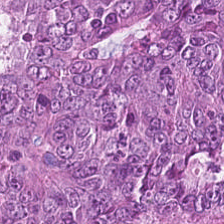Showing colorectal adenocarcinoma.
